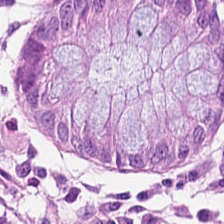Tissue type: normal colon mucosa.
